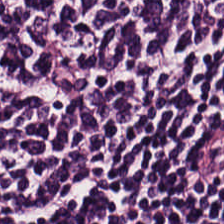Formalin-fixed paraffin-embedded section · hematoxylin and eosin. Q: What tissue type is shown here?
A: The field shows lymphocytic infiltrate.
